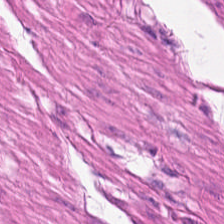H&E-stained tissue section; brightfield — This field is smooth-muscle tissue.
